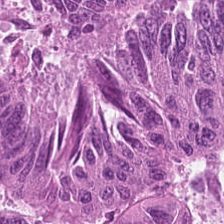Q: What tissue is shown?
A: It is adenocarcinoma.
